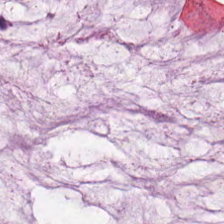Whole-slide-image patch; 224×224 px tile; H&E.
Showing mucus.
